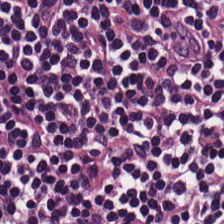H&E — Q: What is shown here?
A: Lymphocyte aggregate.
